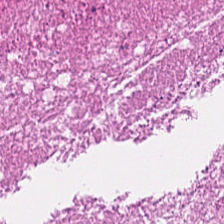H&E stain. 0.5 µm/px. The classification is necrotic debris.
